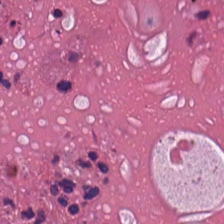H&E — Classification — cellular debris.
